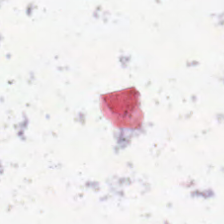Formalin-fixed paraffin-embedded section · 224×224 px tile · H&E. Background.
